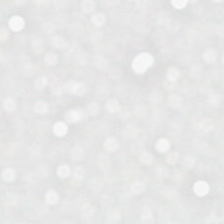H&E stain. The field content is background.
